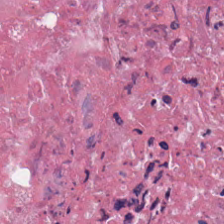Hematoxylin-and-eosin stained section. This field is necrotic debris.
